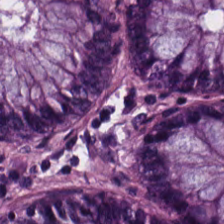H&E — Classification — benign colonic mucosa.
